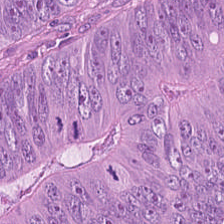Malignant epithelium.
